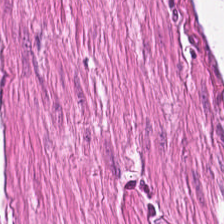Formalin-fixed paraffin-embedded section · brightfield microscopy · H&E stain.
The tissue type is muscularis.
